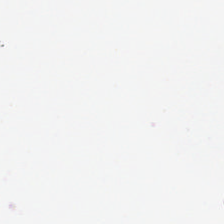Background — no tissue in this field.
